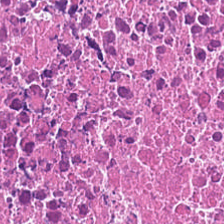Hematoxylin and eosin — Q: What is shown here?
A: It is debris.
